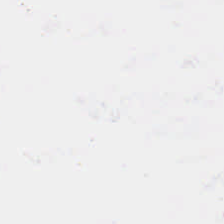20× equivalent magnification; brightfield microscopy; H&E. Field content — empty background.
